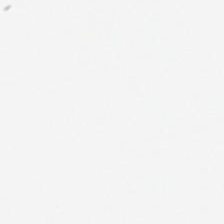Hematoxylin-and-eosin stained section — Finding → background (no tissue).
